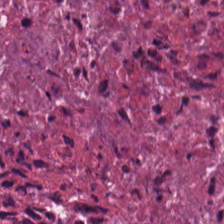Hematoxylin-and-eosin stained section — Predominantly debris.
